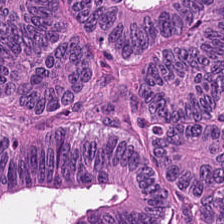H&E-stained tissue section. Impression → colorectal adenocarcinoma.
